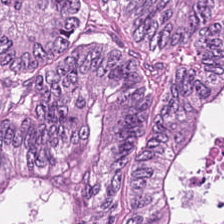Stain: hematoxylin-and-eosin stained section.
Acquisition: brightfield microscopy.
Resolution: 20× equivalent magnification.
Classification: colorectal adenocarcinoma epithelium.
